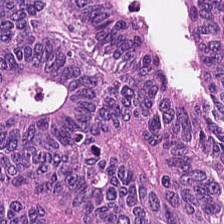Hematoxylin and eosin. FFPE tissue section. 224×224 px patch. Tissue type: colorectal adenocarcinoma.
